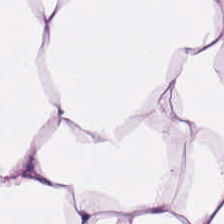Hematoxylin-and-eosin stained section.
This field is adipose.
